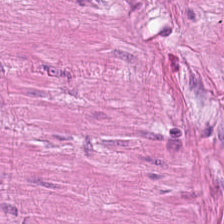Hematoxylin-and-eosin stained section; 224×224 px tile.
The tissue here is muscularis.
